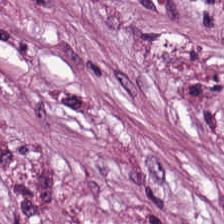Q: What type of tissue is this?
A: The field shows desmoplastic stroma.
